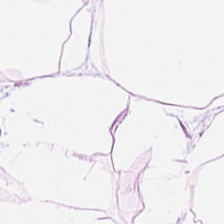Stain: H&E stain.
Acquisition: brightfield microscopy.
Tile size: 224×224 px patch.
Predominant tissue: adipose.
